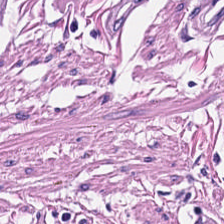0.5 µm per pixel. H&E-stained tissue section.
Histology → smooth muscle.
